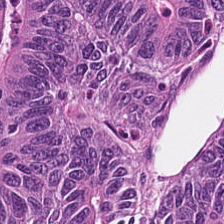Hematoxylin-and-eosin stained section · FFPE.
Showing malignant epithelium.
